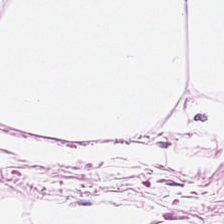H&E — Tissue type: adipocytes.
